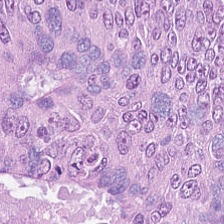H&E · FFPE. Tissue type — adenocarcinoma.
